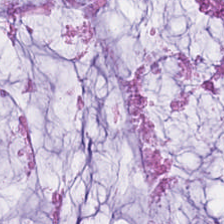H&E stain.
Tissue class — mucin.
